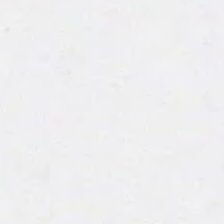H&E — Empty field — empty background.
